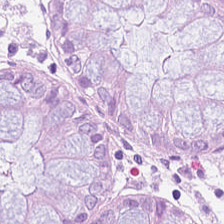Hematoxylin-and-eosin stained section.
Histology → normal colon mucosa.
